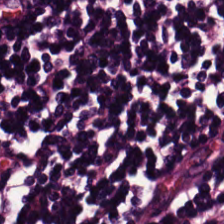H&E stain. FFPE. 224×224 px patch.
{"tissue_type": "lymphoid infiltrate"}
